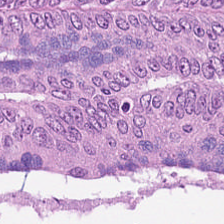Brightfield. 0.5 µm/px. H&E — This field is tumor epithelium.
